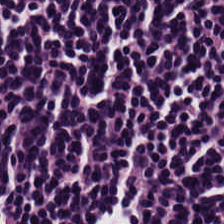Hematoxylin and eosin — Finding → lymphocyte aggregate.
